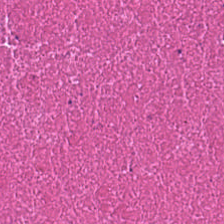H&E-stained tissue section. Necrotic debris.
